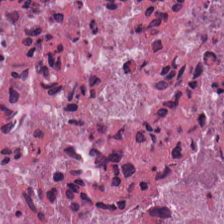Hematoxylin-and-eosin stained section — Predominantly cellular debris.
